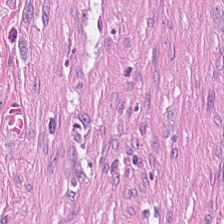Stain: hematoxylin and eosin.
Tissue: tumor stroma.
